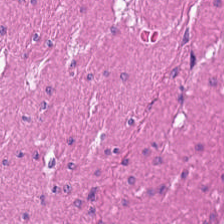H&E stain. Impression — smooth muscle.
